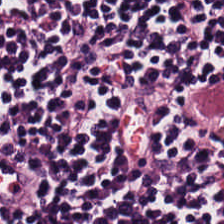Stain: hematoxylin-and-eosin stained section.
Tissue: lymphocytes.
